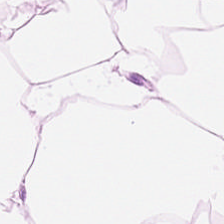FFPE tissue section; H&E — This patch shows fat tissue.
